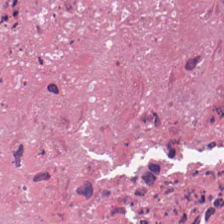Stain: hematoxylin and eosin.
Classification: cellular debris.
